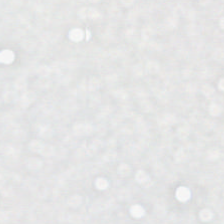Hematoxylin and eosin.
Q: What does this patch show?
A: Background (no tissue).
